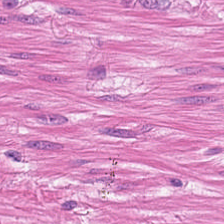H&E stain · 0.5 µm per pixel · FFPE tissue section.
Tissue type: smooth-muscle tissue.
